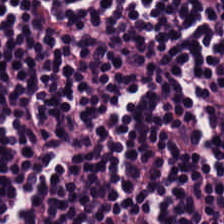H&E stain; 224×224 px patch.
{"tissue_type": "lymphoid infiltrate"}
